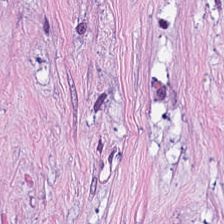The predominant tissue is tumor stroma.
